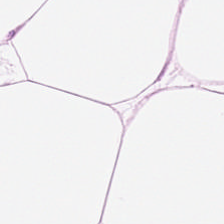Hematoxylin-and-eosin stained section. Q: What tissue is shown?
A: It is fat tissue.
